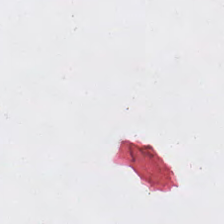H&E · formalin-fixed paraffin-embedded section. Classification — background.
